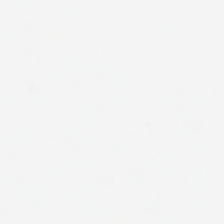H&E · FFPE tissue section.
Content — background (no tissue).
